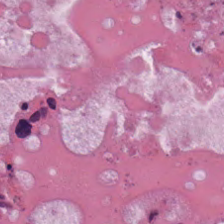FFPE · H&E-stained tissue section.
Tissue type: necrotic debris.
